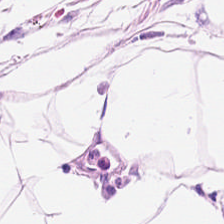Hematoxylin and eosin — Predominantly adipocytes.
